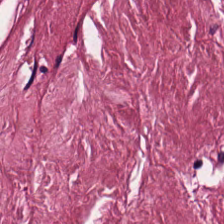H&E stain — Tissue type = tumor-associated stroma.
